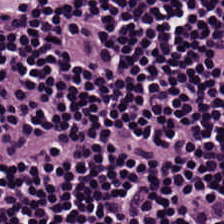Classification — lymphocytes.
